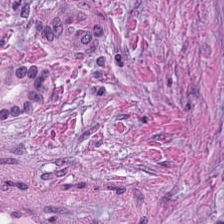Hematoxylin-and-eosin stained section; brightfield. Showing cancer-associated stroma.
